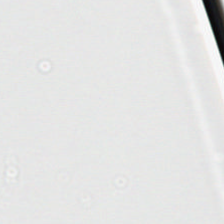H&E-stained tissue section. Background (no tissue).
